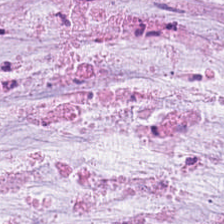Hematoxylin and eosin. The predominant tissue is mucin.
